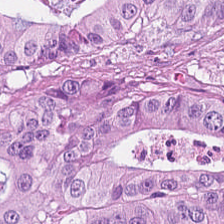H&E-stained tissue section. Whole-slide-image patch — Predominantly colorectal adenocarcinoma epithelium.
